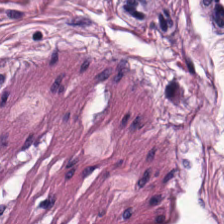FFPE; H&E.
Q: What tissue type is shown here?
A: It is smooth muscle.
